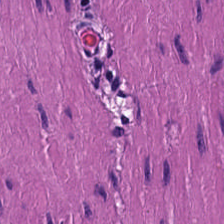H&E-stained tissue section · brightfield microscopy. This patch shows muscularis.
